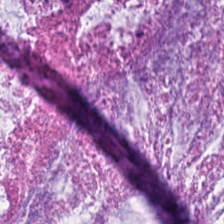224×224 pixel tile · H&E. Predominant tissue = extracellular mucin.
